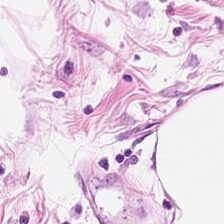H&E stain — Predominant tissue = fat tissue.
